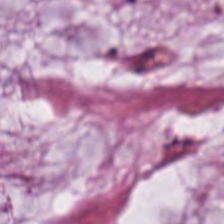H&E-stained tissue section — This patch shows mucus.
